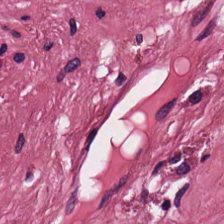H&E-stained tissue section · 0.5 µm per pixel · brightfield. Q: What tissue is shown?
A: The field shows tumor-associated stroma.
